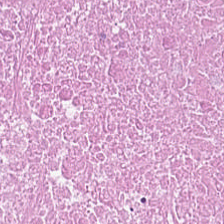Hematoxylin and eosin.
Q: Identify the tissue.
A: This is necrotic debris.
